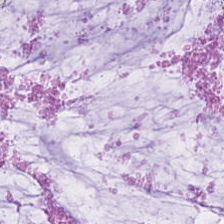0.5 microns per pixel; WSI patch; H&E.
Q: What is the predominant tissue type?
A: It is mucus.
